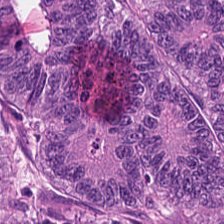0.5 µm per pixel; hematoxylin and eosin.
This patch shows colorectal adenocarcinoma.
